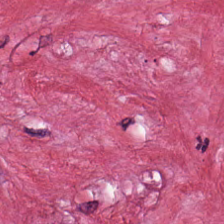0.5 µm per pixel; H&E stain.
{"tissue_type": "cancer-associated stroma"}
